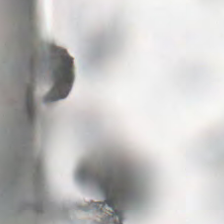Hematoxylin-and-eosin stained section — Q: What is shown in this field?
A: Background (no tissue).
